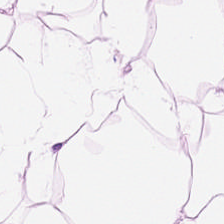Predominant tissue — adipose.
